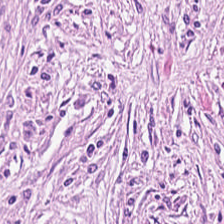The classification is tumor stroma.
